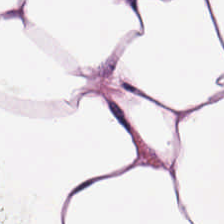Hematoxylin-and-eosin stained section. Predominant tissue — fat tissue.
